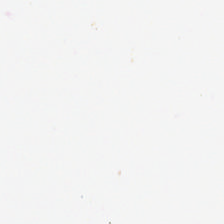Stain: H&E stain.
Field content: background (no tissue).
